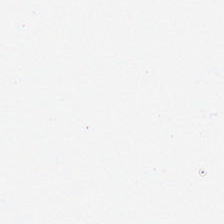Hematoxylin-and-eosin stained section.
This patch shows background.
